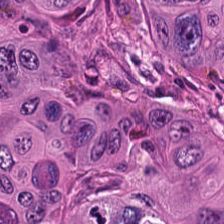Hematoxylin and eosin. 224×224 pixel tile. 0.5 µm per pixel — This patch shows tumor epithelium.
